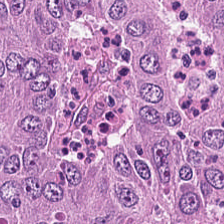224×224 px tile. 0.5 microns per pixel. Hematoxylin-and-eosin stained section — Classification — colorectal adenocarcinoma epithelium.
